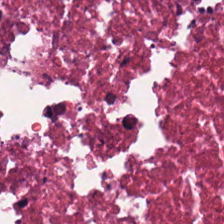H&E-stained tissue section.
This patch shows debris.
